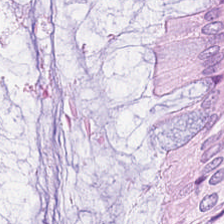Stain: H&E-stained tissue section.
Tile size: 224×224 pixel tile.
Resolution: 0.5 µm per pixel.
Tissue type: normal colon mucosa.
